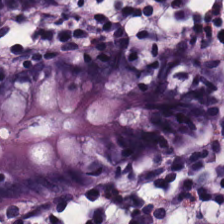H&E · formalin-fixed paraffin-embedded section.
Predominant tissue — normal colon mucosa.
